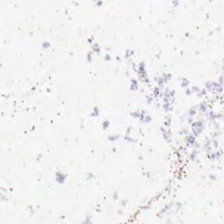H&E stain. Q: What is shown here?
A: This is background (no tissue).
